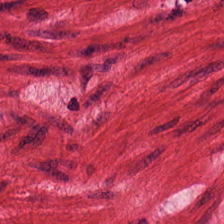Classification — smooth muscle.
